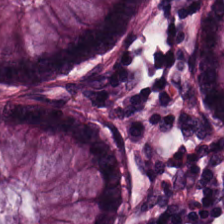H&E stain. Classification — non-neoplastic colon mucosa.
